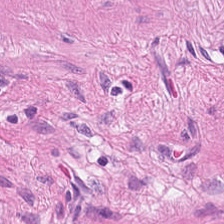Hematoxylin and eosin. FFPE tissue section.
Finding — smooth muscle.
